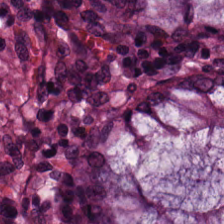Tissue class: benign colonic mucosa.
